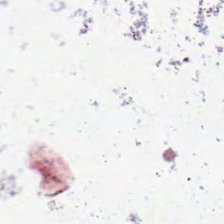Hematoxylin-and-eosin stained section — This field is background (no tissue).
